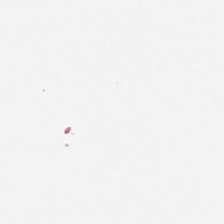Stain: H&E.
Resolution: 0.5 µm/px.
Field content: empty background.
